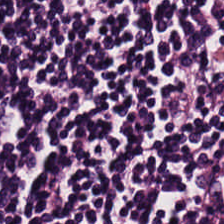Stain: hematoxylin-and-eosin stained section.
Resolution: 0.5 µm per pixel.
Tissue class: lymphocytic infiltrate.
